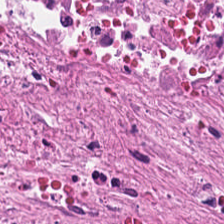H&E-stained tissue section.
Tissue: cellular debris.
